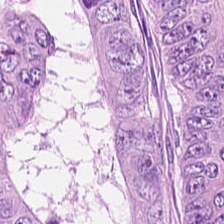FFPE · H&E. Finding → malignant epithelium.
